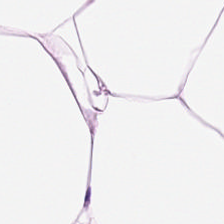H&E stain. This field is adipose.
